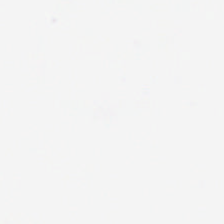H&E-stained tissue section. 224×224 pixel tile. No tissue present; background only.
